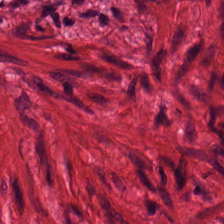H&E-stained tissue section. Smooth-muscle tissue.
